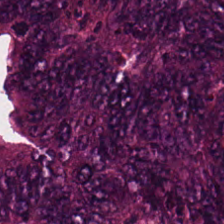The tissue here is tumor epithelium.
